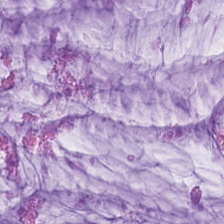Hematoxylin-and-eosin stained section — Predominantly mucus.
